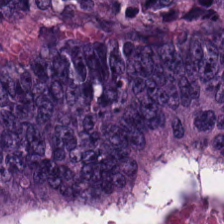H&E stain. Formalin-fixed paraffin-embedded section. 0.5 microns per pixel.
Q: What type of tissue is this?
A: The field shows adenocarcinoma.
